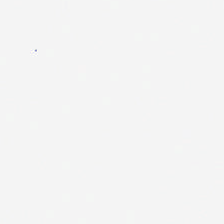Hematoxylin-and-eosin stained section — Histology — empty background.
